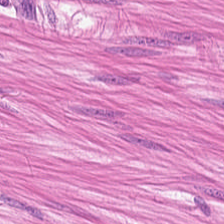Q: Classify this patch.
A: This is muscularis.
